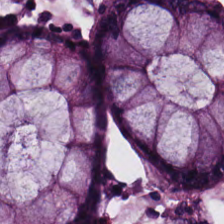Brightfield microscopy. 224×224 pixel tile. H&E-stained tissue section.
Classification = normal colon mucosa.
